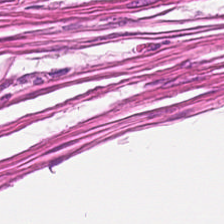The tissue is muscularis.
